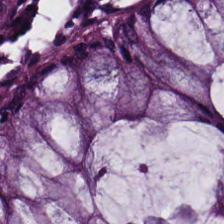H&E-stained tissue section.
The tissue here is non-neoplastic colon mucosa.
